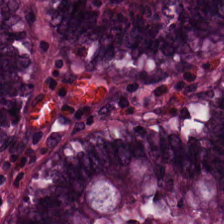Showing normal colon mucosa.
